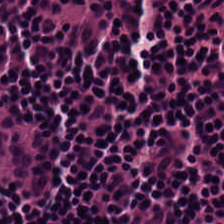H&E-stained tissue section — Q: What is the predominant tissue type?
A: Lymphocyte aggregate.
